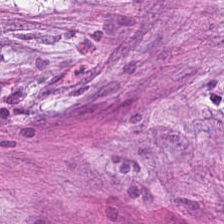Q: What is shown here?
A: Cancer-associated stroma.
